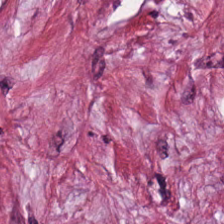FFPE tissue section; hematoxylin-and-eosin stained section — Q: Classify this patch.
A: It is desmoplastic stroma.
